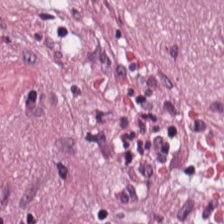The tissue here is desmoplastic stroma.
